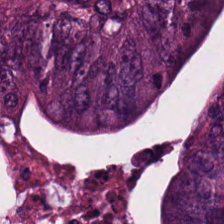H&E-stained tissue section — The tissue class is tumor epithelium.
